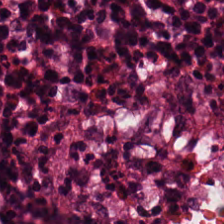FFPE. Hematoxylin-and-eosin stained section.
Showing normal colon mucosa.
